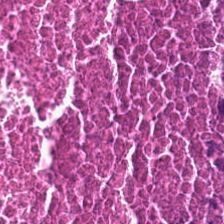224×224 px patch · H&E stain · formalin-fixed paraffin-embedded section — Tissue: cellular debris.
